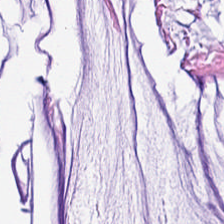Hematoxylin-and-eosin stained section. Predominantly mucus.
